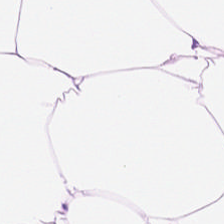H&E stain. Q: What does this patch show?
A: Fat tissue.
